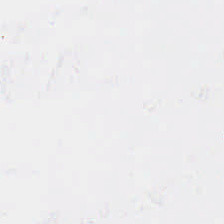H&E stain — {"content": "empty background"}
